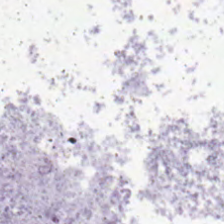0.5 µm per pixel; H&E — Content — no tissue.
